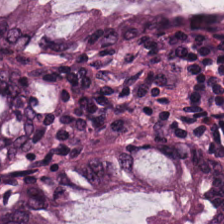Hematoxylin-and-eosin stained section · 224×224 px tile · 0.5 microns per pixel.
The tissue class is benign colonic mucosa.
